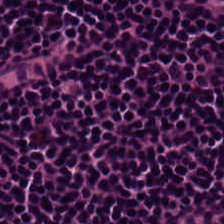224×224 px patch · WSI patch · H&E.
Finding → lymphocyte aggregate.
